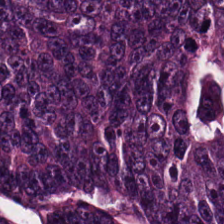Hematoxylin and eosin. Q: What is shown in this field?
A: Adenocarcinoma.
